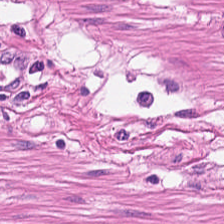H&E — Showing muscularis.
